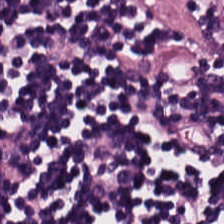Hematoxylin and eosin. 224×224 px tile. Q: What is shown in this field?
A: Lymphoid infiltrate.
